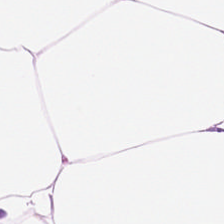Stain: hematoxylin-and-eosin stained section.
Predominant tissue: adipose.
